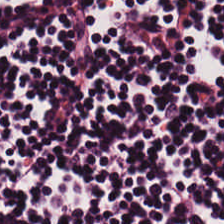Stain: H&E stain.
Tile size: 224×224 px tile.
Tissue type: lymphocytic infiltrate.
